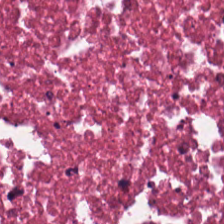Brightfield; H&E — Predominant tissue = necrotic debris.
